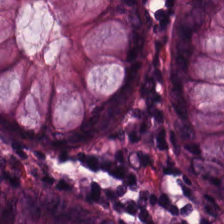Whole-slide-image patch. Hematoxylin-and-eosin stained section. Formalin-fixed paraffin-embedded section — Tissue type = normal colonic mucosa.
